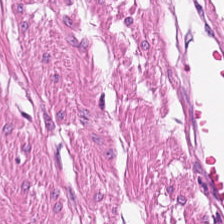Whole-slide-image patch. H&E. This patch shows smooth-muscle tissue.
